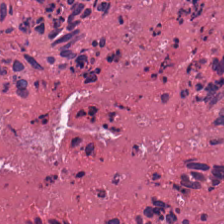This field is debris.
